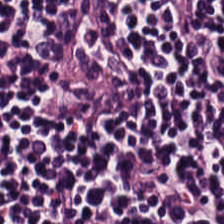H&E. The classification is lymphocyte aggregate.
